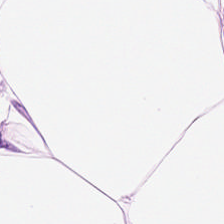H&E-stained tissue section.
The tissue class is adipocytes.
